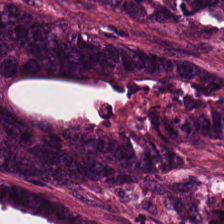FFPE. Hematoxylin and eosin. 224×224 px tile. Tissue type = colorectal adenocarcinoma.
